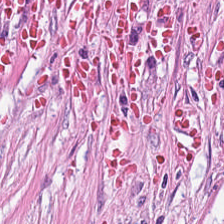Predominant tissue: cancer-associated stroma.
